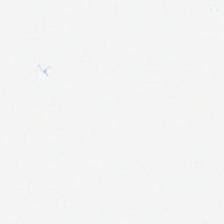Stain: H&E stain.
Acquisition: WSI patch.
Preparation: FFPE.
Content: no tissue.
